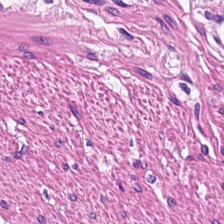H&E — The predominant tissue is smooth muscle.
